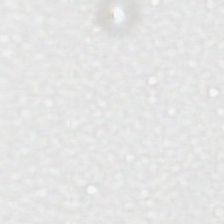FFPE tissue section · H&E-stained tissue section · 0.5 µm/px — Empty field — background.
